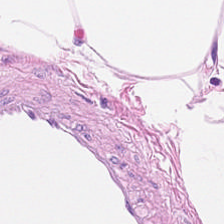0.5 microns per pixel; hematoxylin-and-eosin stained section.
This field is adipose.
